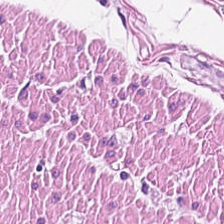Stain: hematoxylin-and-eosin stained section.
Acquisition: brightfield microscopy.
Tissue: smooth-muscle tissue.
